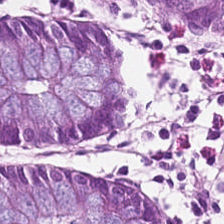H&E stain — This patch shows benign colonic mucosa.
